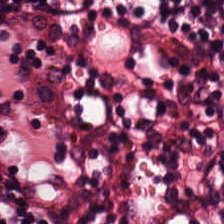H&E-stained tissue section.
Impression — lymphocytes.
